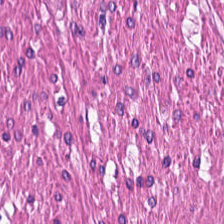H&E.
Tissue class: smooth muscle.
